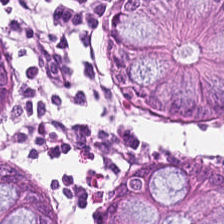FFPE · H&E stain.
Q: Classify this patch.
A: Normal colon mucosa.
